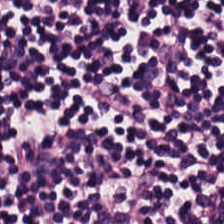FFPE; H&E-stained tissue section.
Q: What does this patch show?
A: It is lymphocytic infiltrate.
